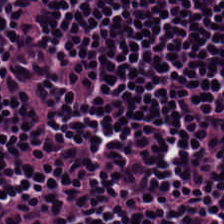H&E. {"tissue_type": "lymphocytes"}
